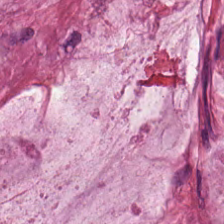Tissue = mucin.
